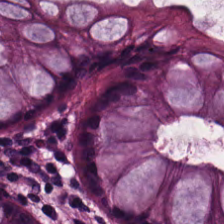H&E-stained tissue section — This patch shows non-neoplastic colon mucosa.
